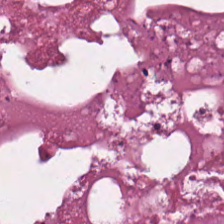H&E — Predominant tissue — necrotic debris.
